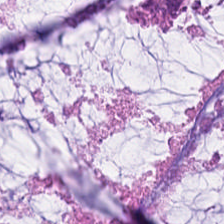H&E · brightfield — The tissue here is mucin.
